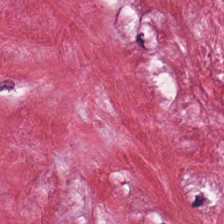H&E stain — Showing tumor-associated stroma.
